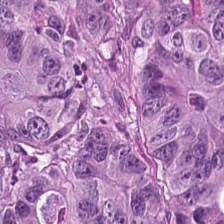Hematoxylin-and-eosin stained section. The tissue type is tumor epithelium.
